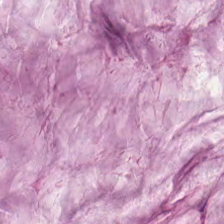Whole-slide-image patch. Hematoxylin-and-eosin stained section.
This field is mucin.
